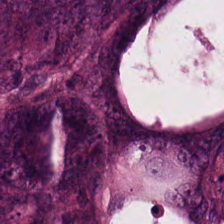Hematoxylin and eosin. The predominant tissue is adenocarcinoma.
